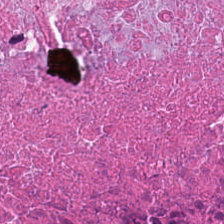H&E stain. 224×224 pixel tile. Tissue: cellular debris.
